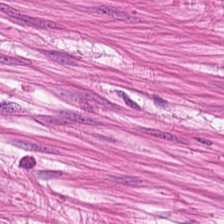20× equivalent magnification. 224×224 px patch. Hematoxylin and eosin. This patch shows muscularis.
